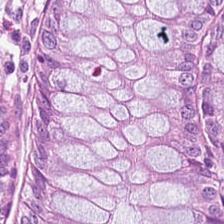This field is non-neoplastic colon mucosa.
